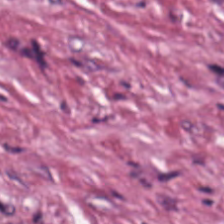H&E-stained tissue section.
Q: Classify this patch.
A: Cancer-associated stroma.
